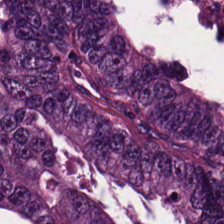Brightfield · H&E — Predominant tissue: adenocarcinoma.
